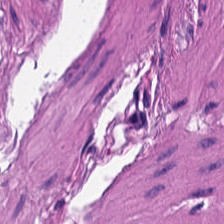FFPE · H&E stain. Histology → smooth muscle.
